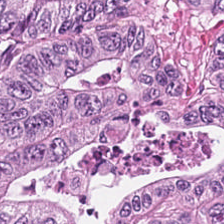Hematoxylin-and-eosin stained section. This field is tumor epithelium.
